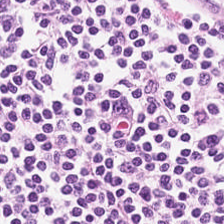Whole-slide-image patch. H&E-stained tissue section. 0.5 µm/px — Tissue = lymphocytes.
